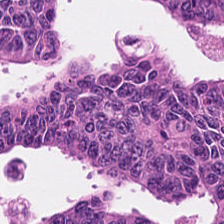H&E stain. Q: What is shown in this field?
A: It is malignant epithelium.
